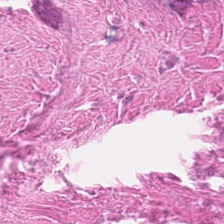Stain: hematoxylin and eosin.
Tissue type: cellular debris.
